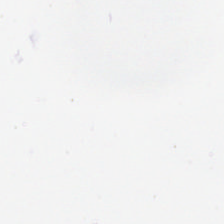Histology — background (no tissue).
